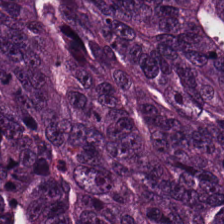Stain: H&E stain.
Tissue: adenocarcinoma.
